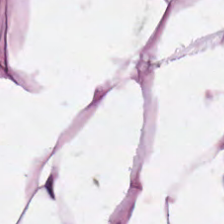H&E-stained tissue section. The tissue here is adipocytes.
